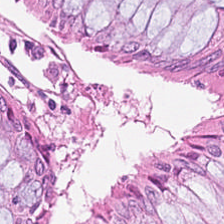Hematoxylin and eosin; brightfield microscopy. {"tissue_type": "normal colon mucosa"}
